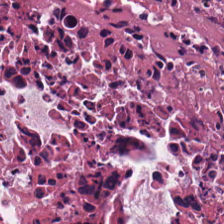H&E.
Predominantly necrotic debris.
